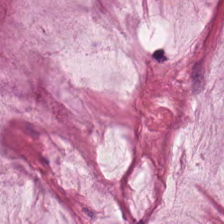Q: What tissue is shown?
A: The field shows mucus.
